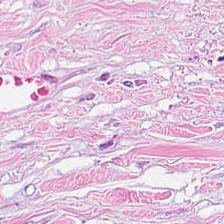Brightfield. H&E stain. 224×224 pixel tile. Tissue class — desmoplastic stroma.
